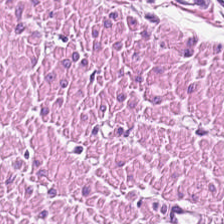224×224 px patch · H&E-stained tissue section.
The tissue here is smooth muscle.
